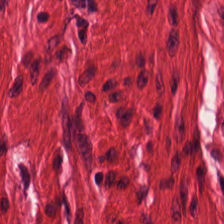Tissue: smooth muscle.
